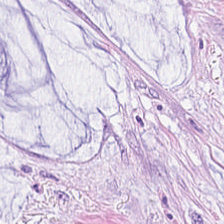Hematoxylin and eosin. Q: What type of tissue is this?
A: The field shows mucus.
